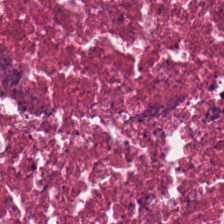Tissue class: necrotic debris.
